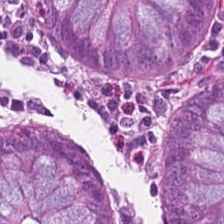H&E stain. Tissue type — normal colonic mucosa.
